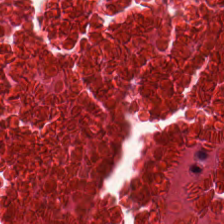H&E stain.
The predominant tissue is debris.
